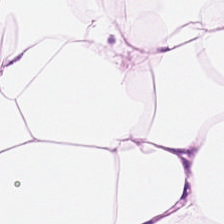H&E.
Showing adipose tissue.
